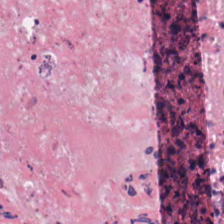H&E stain · FFPE tissue section · whole-slide-image patch. Necrotic debris.
